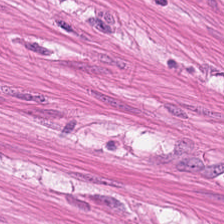Brightfield microscopy; hematoxylin-and-eosin stained section. The predominant tissue is muscularis.
